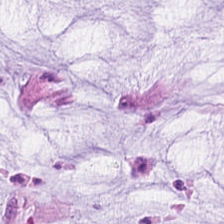Predominantly extracellular mucin.
